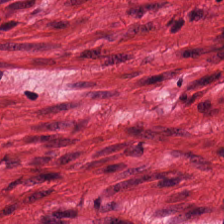Hematoxylin-and-eosin stained section — Showing smooth-muscle tissue.
